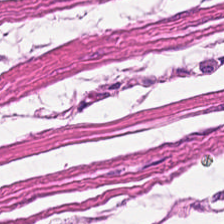H&E stain — {"tissue_type": "smooth-muscle tissue"}
